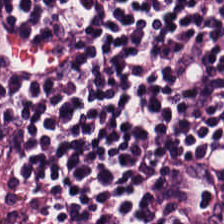Hematoxylin-and-eosin stained section; 0.5 microns per pixel; brightfield.
Q: What tissue is shown?
A: Lymphocytic infiltrate.
